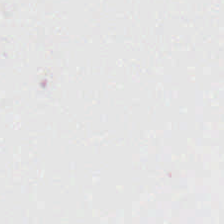Stain: H&E stain.
Tile size: 224×224 pixel tile.
Preparation: FFPE tissue section.
Content: background.
